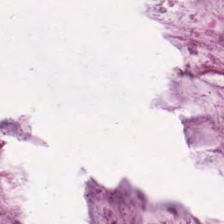{"tissue_type": "mucin"}
